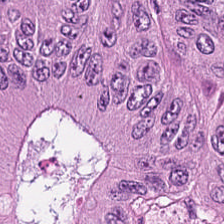224×224 px tile · brightfield microscopy · H&E stain — The tissue here is colorectal adenocarcinoma.
